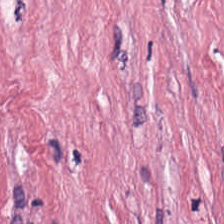Brightfield. H&E stain. 20× equivalent magnification.
{"tissue_type": "tumor stroma"}
